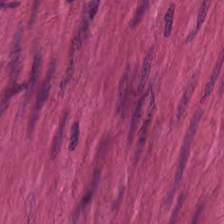0.5 µm/px; H&E stain; FFPE tissue section.
Q: Classify this patch.
A: It is muscularis.
